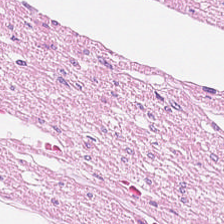Brightfield microscopy. H&E stain. Showing smooth muscle.
